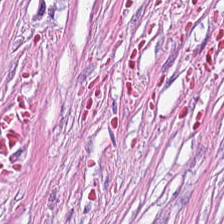The tissue here is cancer-associated stroma.
